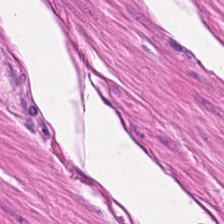Hematoxylin-and-eosin stained section — Tissue type: muscularis.
